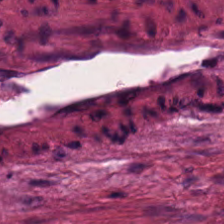Hematoxylin and eosin; FFPE.
Showing desmoplastic stroma.
